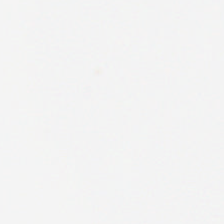H&E stain — This field is background (no tissue).
